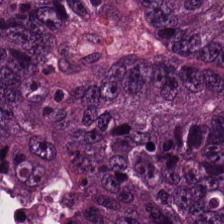Stain: H&E-stained tissue section.
Resolution: 0.5 µm/px.
Tissue class: colorectal adenocarcinoma.
